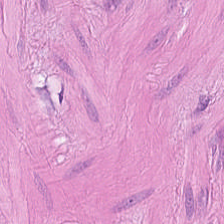H&E-stained section; the field shows smooth-muscle tissue.
